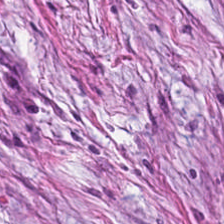Hematoxylin and eosin. 0.5 µm/px — Q: Classify this patch.
A: The field shows cancer-associated stroma.
